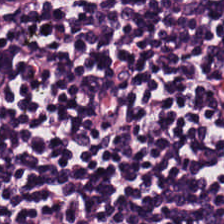Tissue class: lymphocytes.
